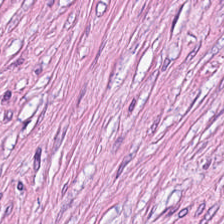H&E. 0.5 microns per pixel.
The tissue here is cancer-associated stroma.
